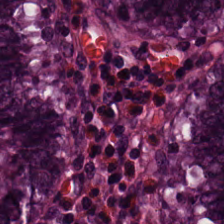Impression → normal colonic mucosa.
